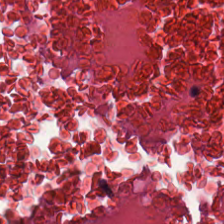H&E · 0.5 microns per pixel · FFPE tissue section — The predominant tissue is debris.
